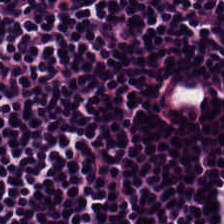H&E. {"tissue_type": "lymphocytic infiltrate"}
